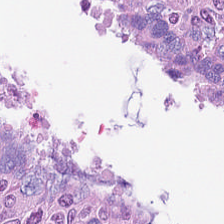H&E — Showing adenocarcinoma.
